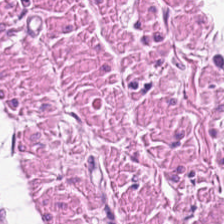Brightfield; hematoxylin and eosin.
Muscularis.
